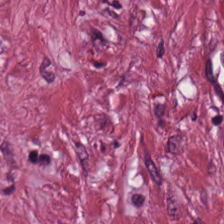Hematoxylin-and-eosin stained section — Showing tumor-associated stroma.
